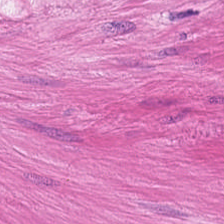Stain: H&E-stained tissue section.
Resolution: 0.5 µm per pixel.
Tissue type: smooth-muscle tissue.
